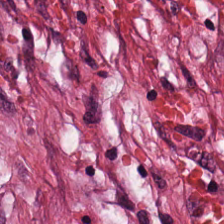FFPE; H&E-stained tissue section — Tissue class — tumor stroma.
